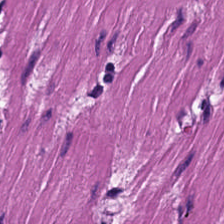H&E-stained tissue section. Showing smooth-muscle tissue.
